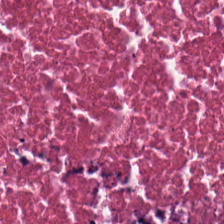Stain: hematoxylin-and-eosin stained section.
Tissue class: debris.
